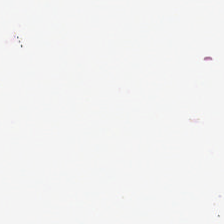H&E-stained tissue section. FFPE.
{"content": "no tissue"}
